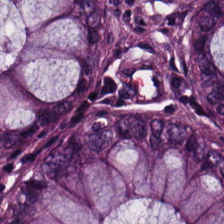Formalin-fixed paraffin-embedded section. Hematoxylin-and-eosin stained section.
Q: What does this patch show?
A: This is benign colonic mucosa.
